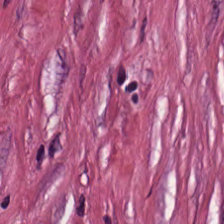H&E.
Showing cancer-associated stroma.
